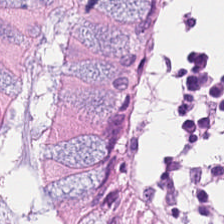H&E stain; WSI patch; 224×224 pixel tile.
Classification — non-neoplastic colon mucosa.
